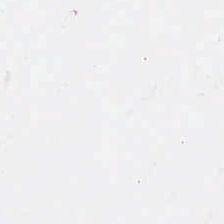Stain: hematoxylin and eosin.
Field content: background.
